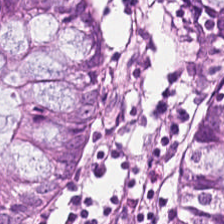Stain: hematoxylin and eosin.
Resolution: 0.5 µm/px.
Predominant tissue: normal colonic mucosa.
